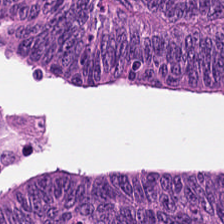Histology — tumor epithelium.
